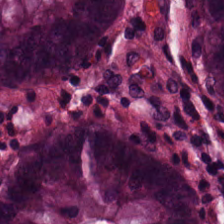Tissue type — benign colonic mucosa.
